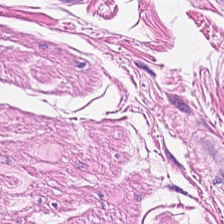The tissue here is smooth muscle.
